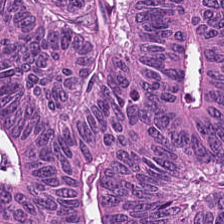Hematoxylin and eosin — The tissue type is colorectal adenocarcinoma epithelium.
